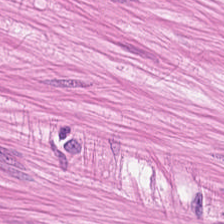Hematoxylin and eosin. 20× equivalent magnification. FFPE — The tissue here is smooth muscle.
